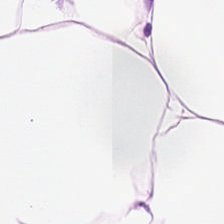Finding — adipocytes.
